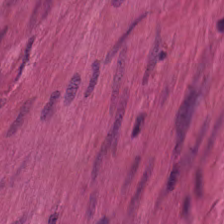Stain: hematoxylin-and-eosin stained section.
Tissue type: smooth muscle.
